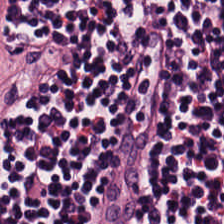H&E.
The predominant tissue is lymphocyte aggregate.
